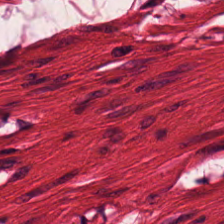H&E-stained tissue section · formalin-fixed paraffin-embedded section — The predominant tissue is smooth-muscle tissue.
